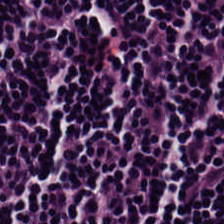Tissue type = lymphocyte aggregate.
